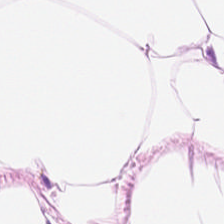H&E-stained tissue section. Whole-slide-image patch. Q: Identify the tissue.
A: The field shows adipocytes.
